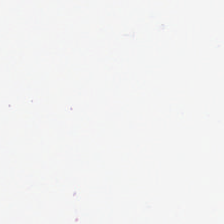H&E stain. 224×224 px tile.
The content is background.
